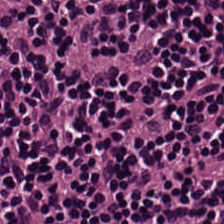Hematoxylin and eosin. Tissue type — lymphocytic infiltrate.
